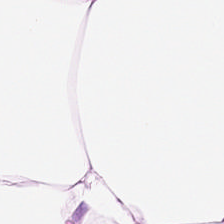Whole-slide-image patch. FFPE. H&E.
This patch shows fat tissue.
